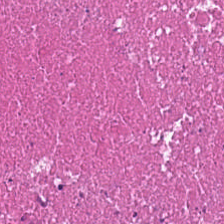H&E-stained tissue section. FFPE.
Tissue — debris.
